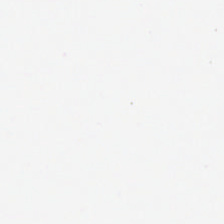Brightfield microscopy. 224×224 px tile. Hematoxylin and eosin.
This field is background (no tissue).
